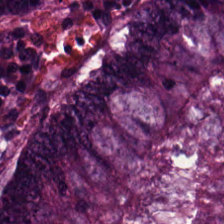The predominant tissue is malignant epithelium.
